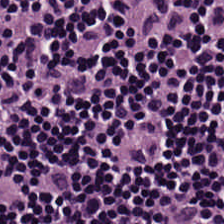Stain: hematoxylin-and-eosin stained section.
Classification: lymphocyte aggregate.
